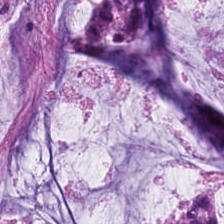Tissue type — extracellular mucin.
